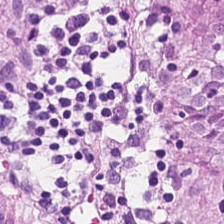H&E-stained tissue section — Tissue type = non-neoplastic colon mucosa.
